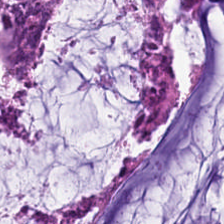H&E stain — Q: What tissue is shown?
A: The field shows extracellular mucin.
